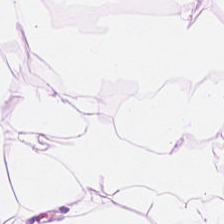H&E-stained tissue section — {"tissue_type": "adipose tissue"}
